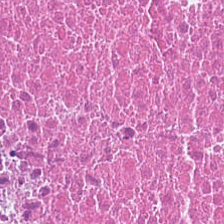Histology → necrotic debris.
